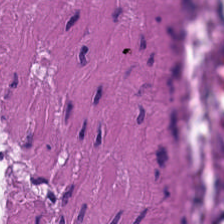Hematoxylin and eosin. Histology → smooth muscle.
